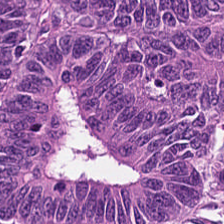H&E.
Q: What is shown in this field?
A: This is adenocarcinoma.
